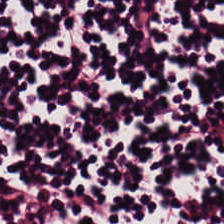Tissue class: lymphocyte aggregate.
